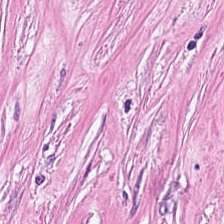H&E.
Q: What tissue type is shown here?
A: Cancer-associated stroma.
